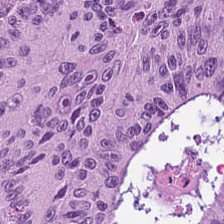WSI patch. H&E-stained tissue section. Predominant tissue = colorectal adenocarcinoma epithelium.
